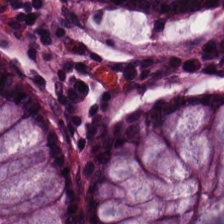Hematoxylin-and-eosin stained section; FFPE.
The predominant tissue is normal colon mucosa.
